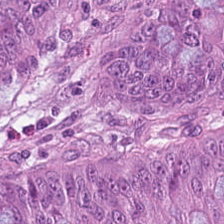Hematoxylin and eosin.
Predominantly colorectal adenocarcinoma.
